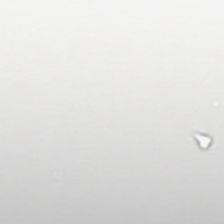H&E-stained tissue section. Histology → background (no tissue).
